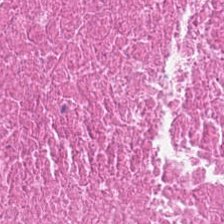H&E-stained tissue section. Tissue type = cellular debris.
